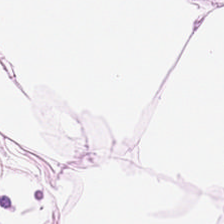H&E stain · 0.5 microns per pixel · WSI patch — Predominantly adipose.
